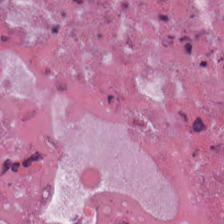Hematoxylin-and-eosin stained section. Formalin-fixed paraffin-embedded section.
The predominant tissue is cellular debris.
